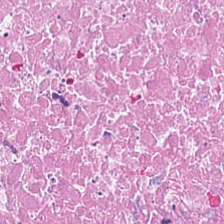FFPE. H&E. Brightfield — Q: What does this patch show?
A: Debris.
